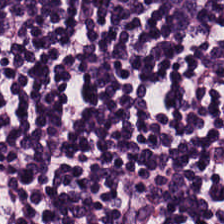Hematoxylin-and-eosin stained section. {"tissue_type": "lymphocyte aggregate"}
